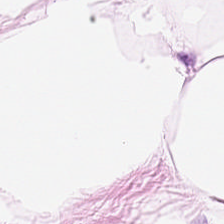H&E stain. Predominantly fat tissue.
